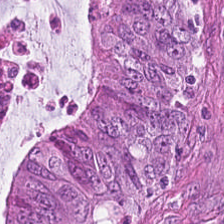Showing colorectal adenocarcinoma epithelium.
